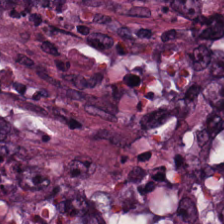H&E stain; 0.5 µm per pixel. Tissue — adenocarcinoma.
